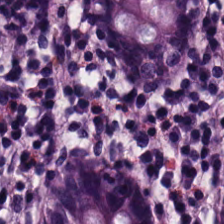H&E — Q: What tissue type is shown here?
A: This is normal colonic mucosa.
